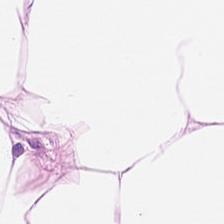Hematoxylin-and-eosin section: adipocytes.
